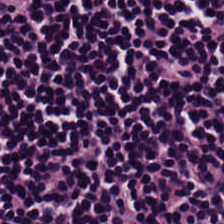224×224 px tile · 0.5 microns per pixel · H&E-stained tissue section.
Q: What is shown here?
A: Lymphocyte aggregate.
